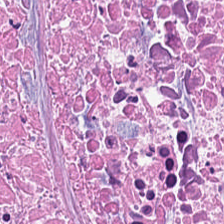This patch shows debris.
